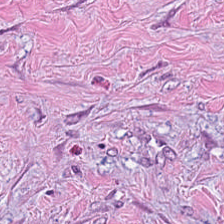H&E-stained tissue section.
Q: Identify the tissue.
A: It is cancer-associated stroma.
